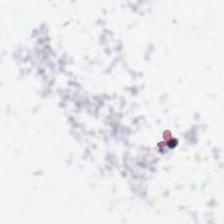Field content — no tissue.
